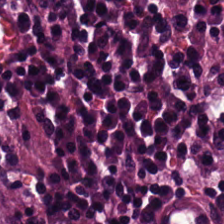The tissue here is colorectal adenocarcinoma.
